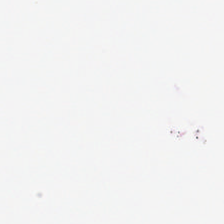H&E stain. Empty background.
